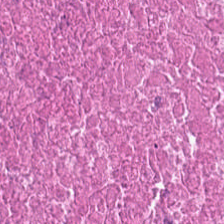H&E. The predominant tissue is cellular debris.
